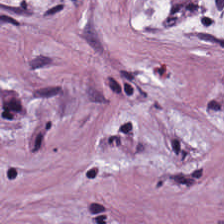Brightfield microscopy; H&E; FFPE tissue section. Q: Identify the tissue.
A: The field shows tumor-associated stroma.
